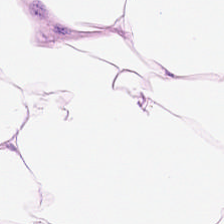H&E. {"tissue_type": "adipose tissue"}
